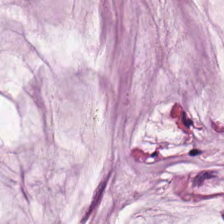Q: What type of tissue is this?
A: It is extracellular mucin.
